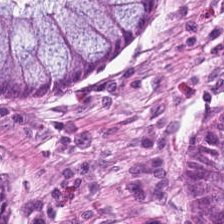Hematoxylin and eosin. 224×224 pixel tile. The classification is normal colonic mucosa.
